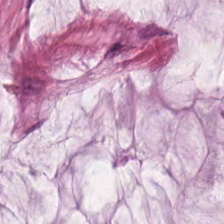Hematoxylin-and-eosin stained section. Q: What tissue is shown?
A: The field shows mucin.
